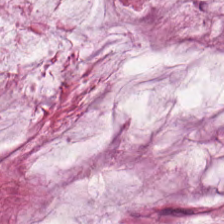H&E-stained tissue section — Histology — mucin.
